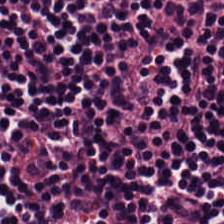Predominant tissue — lymphocytes.
